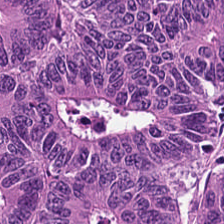H&E stain; 20× equivalent magnification.
Tissue — malignant epithelium.
